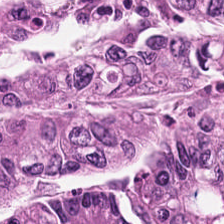Hematoxylin-and-eosin stained section; 0.5 µm/px. Tissue = malignant epithelium.
